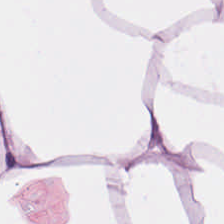H&E — Q: What is shown here?
A: This is adipocytes.
